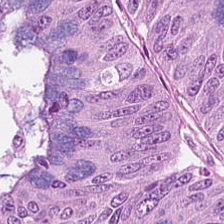Predominant tissue — malignant epithelium.
